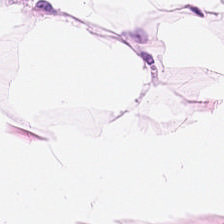H&E stain · formalin-fixed paraffin-embedded section · brightfield. The tissue here is adipose.
